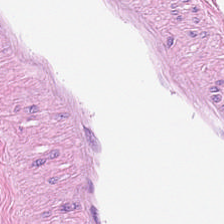Q: What tissue type is shown here?
A: This is adipose.
